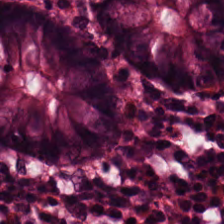Hematoxylin and eosin.
Finding → normal colon mucosa.
